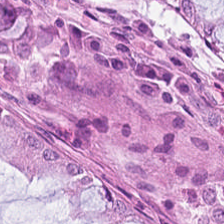H&E; 0.5 µm per pixel — Tissue — benign colonic mucosa.
